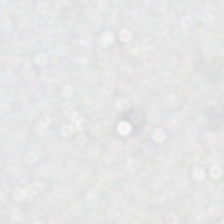Hematoxylin-and-eosin stained section; WSI patch; 224×224 px patch.
Empty field — background (no tissue).
